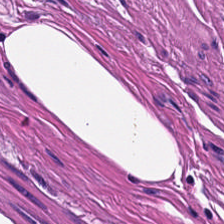Showing smooth muscle.
